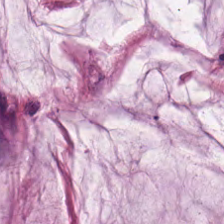Hematoxylin and eosin.
Showing mucin.
